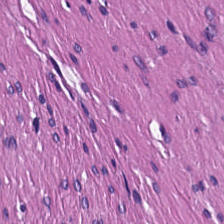H&E-stained tissue section — The predominant tissue is smooth muscle.
